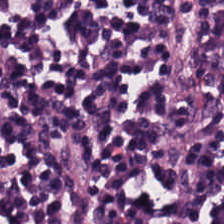Tissue = lymphocytes.
